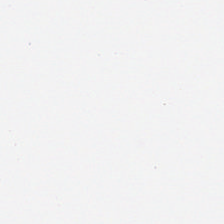H&E-stained tissue section · WSI patch.
Histology → background.
